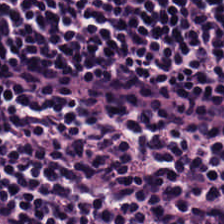H&E stain. 0.5 microns per pixel.
{"tissue_type": "lymphocyte aggregate"}
